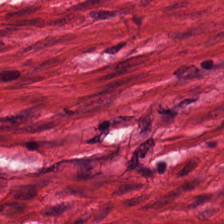H&E. Q: Identify the tissue.
A: It is smooth-muscle tissue.
